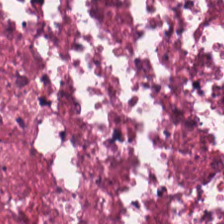H&E stain — The tissue here is necrotic debris.
